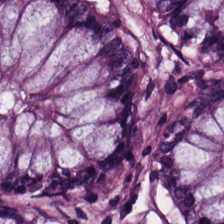224×224 pixel tile; H&E; formalin-fixed paraffin-embedded section. This field is non-neoplastic colon mucosa.
